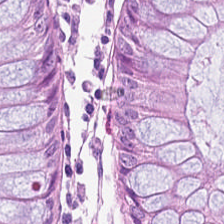H&E stain.
Showing normal colonic mucosa.
